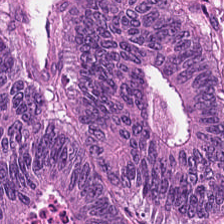Hematoxylin and eosin.
Tissue = adenocarcinoma.
